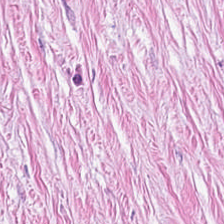H&E. WSI patch. Finding — tumor stroma.
